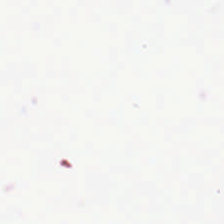0.5 µm per pixel. Hematoxylin-and-eosin stained section. Formalin-fixed paraffin-embedded section. This field is background (no tissue).
